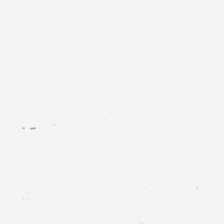H&E stain — This patch shows background (no tissue).
